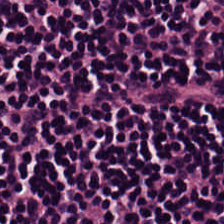Hematoxylin-and-eosin stained section.
Predominant tissue: lymphocytes.
